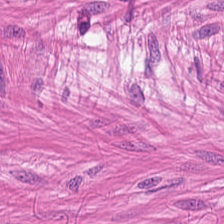This field is muscularis.
